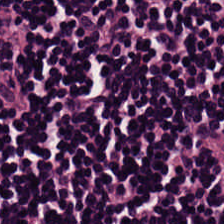Brightfield microscopy. Hematoxylin and eosin. 224×224 pixel tile. {"tissue_type": "lymphocytes"}
